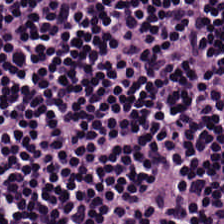FFPE tissue section · WSI patch · hematoxylin-and-eosin stained section — Q: What tissue is shown?
A: Lymphocyte aggregate.
